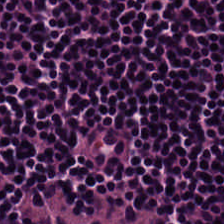H&E stain — This field is lymphocyte aggregate.
